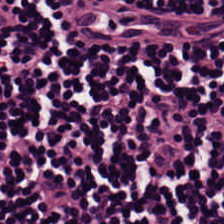H&E.
Showing lymphocytes.
